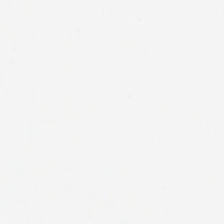H&E stain.
Content: empty background.
